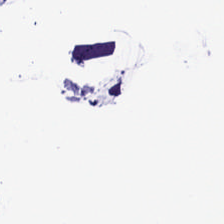Hematoxylin and eosin — Empty field — no tissue.
